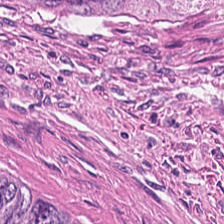Classification = necrotic debris.
